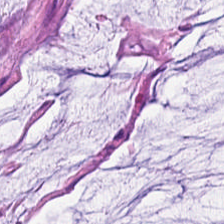FFPE; H&E — Showing mucus.
